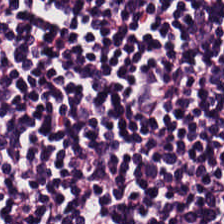H&E-stained tissue section. 224×224 px patch — Tissue class = lymphocytic infiltrate.
